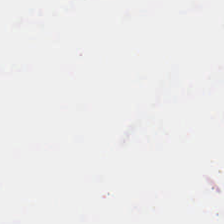Stain: H&E-stained tissue section.
Classification: no tissue.
